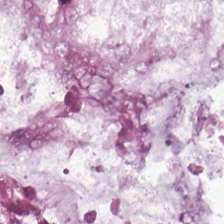H&E-stained tissue section.
Classification — mucin.
